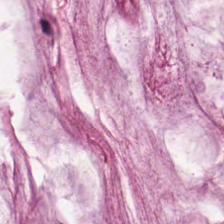Hematoxylin and eosin — Histology → extracellular mucin.
